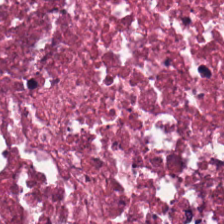Stain: hematoxylin and eosin.
Tissue: debris.
